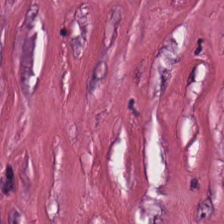FFPE; H&E-stained tissue section.
The predominant tissue is tumor stroma.
